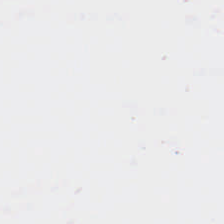H&E. The field content is background.
